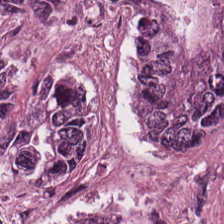Hematoxylin and eosin.
Histology → adenocarcinoma.
